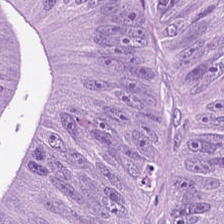Stain: hematoxylin and eosin.
Acquisition: brightfield.
Resolution: 20× equivalent magnification.
Predominant tissue: tumor epithelium.
